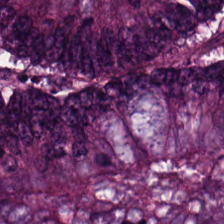H&E-stained tissue section; WSI patch.
This patch shows malignant epithelium.
